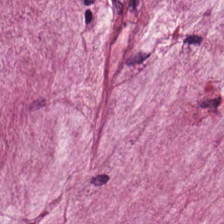H&E stain.
Classification: extracellular mucin.
